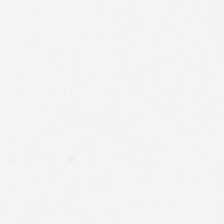H&E-stained tissue section; FFPE — Background.
